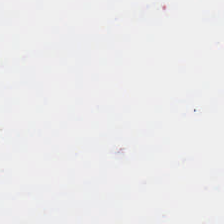Q: What is shown here?
A: No tissue.
